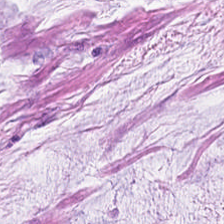H&E-stained tissue section. FFPE tissue section. 224×224 px patch. Tissue: mucus.
